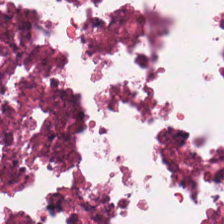H&E stain. Tissue type — debris.
